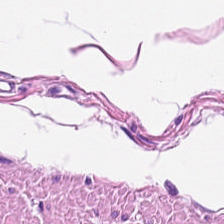H&E — smooth muscle.
